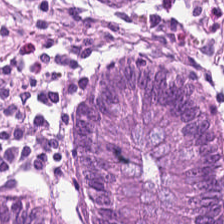Hematoxylin-and-eosin stained section.
Q: What tissue is shown?
A: This is benign colonic mucosa.
